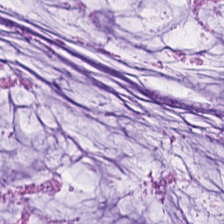Mucus.
